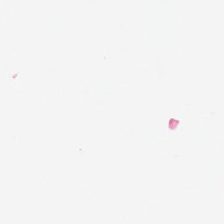Hematoxylin-and-eosin stained section — Content = background.
